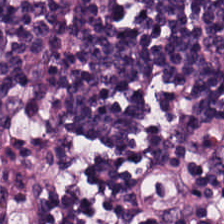This patch shows lymphocytes.
